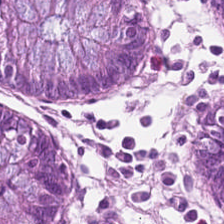Q: What is the predominant tissue type?
A: The field shows normal colonic mucosa.
